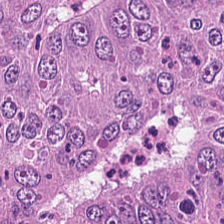Formalin-fixed paraffin-embedded section; H&E; WSI patch.
Predominant tissue: colorectal adenocarcinoma.
